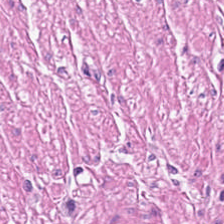224×224 px patch; H&E-stained tissue section. The tissue here is smooth muscle.
